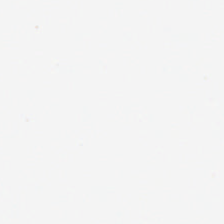Stain: hematoxylin and eosin.
Resolution: 0.5 µm/px.
Field content: empty background.
